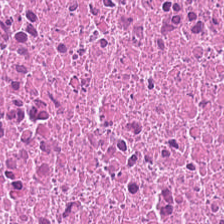H&E stain. Brightfield. 0.5 µm per pixel. Classification = necrotic debris.
